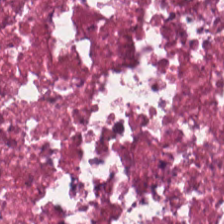Hematoxylin and eosin.
Tissue — necrotic debris.
